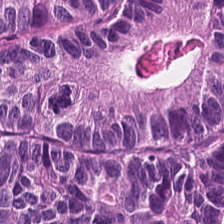Formalin-fixed paraffin-embedded section · H&E · 0.5 microns per pixel — Q: Identify the tissue.
A: It is adenocarcinoma.
